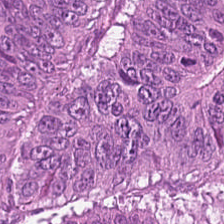Brightfield microscopy · H&E · FFPE — Q: Classify this patch.
A: This is colorectal adenocarcinoma epithelium.
